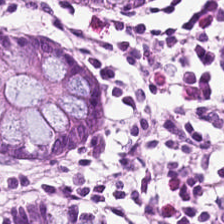H&E-stained tissue section; FFPE tissue section; 224×224 px tile — Showing normal colon mucosa.
